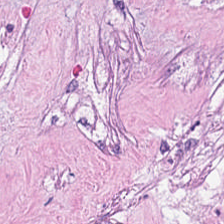H&E.
Predominantly necrotic debris.
